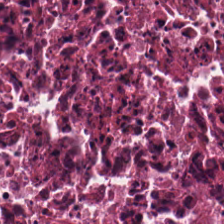H&E stain. Brightfield microscopy.
The tissue class is cellular debris.
